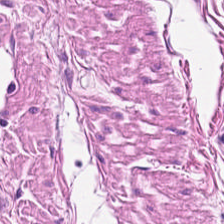Hematoxylin-and-eosin stained section. 224×224 pixel tile. FFPE tissue section.
The tissue here is muscularis.
